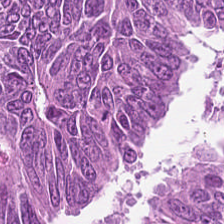Finding — malignant epithelium.
